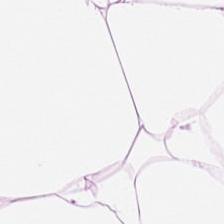H&E. {"tissue_type": "adipose tissue"}
